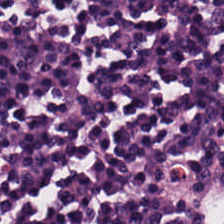Hematoxylin and eosin. The predominant tissue is lymphocyte aggregate.
